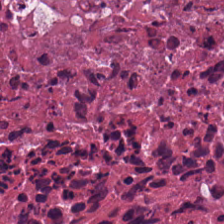Hematoxylin-and-eosin stained section. Predominant tissue — necrotic debris.
